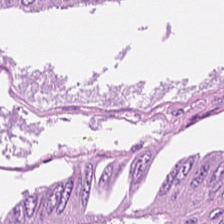Histology → colorectal adenocarcinoma.
